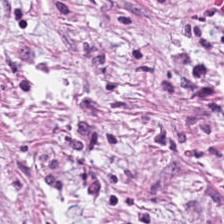Stain: H&E.
Tissue: desmoplastic stroma.
